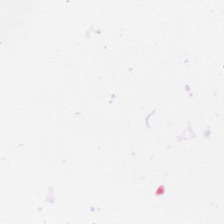Hematoxylin and eosin — {"content": "no tissue"}
